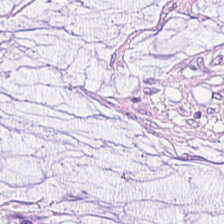Stain: hematoxylin and eosin.
Resolution: 20× equivalent magnification.
Tissue class: mucus.
